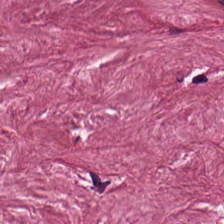Brightfield; 224×224 px patch; H&E. Tissue type: cancer-associated stroma.
